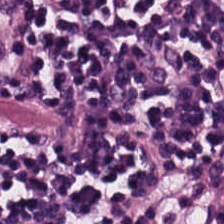H&E-stained tissue section. The predominant tissue is lymphocytes.
